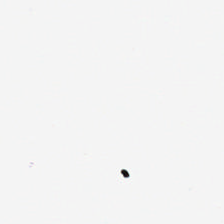224×224 px patch · 0.5 µm per pixel · H&E.
No tissue present; background only.
